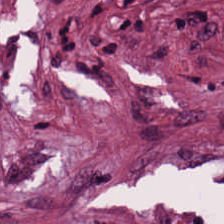Tissue: desmoplastic stroma.
